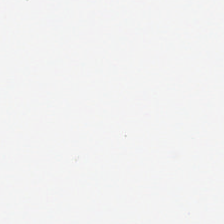H&E. The classification is empty background.
